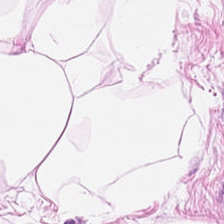20× equivalent magnification; hematoxylin and eosin. Predominant tissue = fat tissue.
